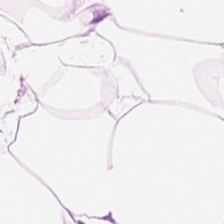Tissue class: adipocytes.
